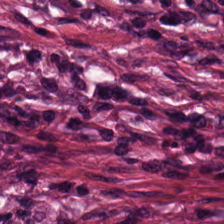Classification — cancer-associated stroma.
